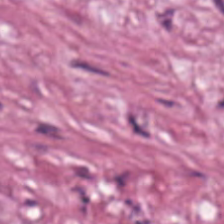Q: Identify the tissue.
A: This is tumor stroma.
